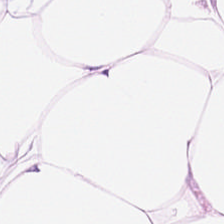H&E stain — The predominant tissue is adipocytes.
